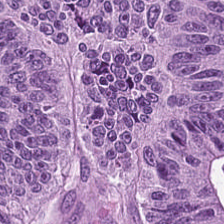224×224 px tile; 0.5 µm/px; hematoxylin and eosin — Predominantly malignant epithelium.
